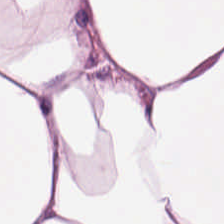Tissue class: fat tissue.
